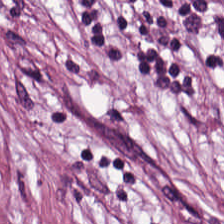Hematoxylin and eosin.
Q: What is shown here?
A: The field shows tumor-associated stroma.
